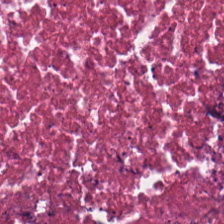Formalin-fixed paraffin-embedded section. Hematoxylin-and-eosin stained section. 0.5 µm per pixel.
Predominant tissue = debris.
